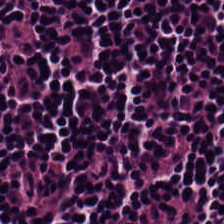H&E-stained tissue section.
The predominant tissue is lymphoid infiltrate.
